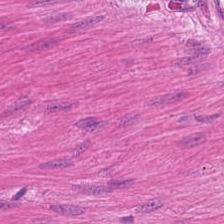This patch shows smooth muscle.
